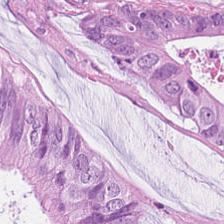H&E-stained tissue section — The tissue here is tumor epithelium.
